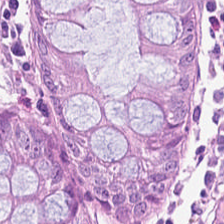Showing normal colon mucosa.
